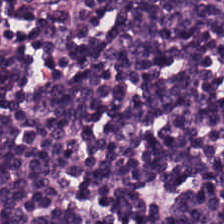Q: What type of tissue is this?
A: Lymphocytes.
